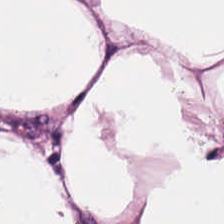Hematoxylin-and-eosin stained section · FFPE. Showing adipose.
